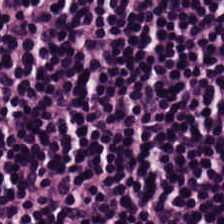H&E stain.
Q: What is the predominant tissue type?
A: Lymphocyte aggregate.
